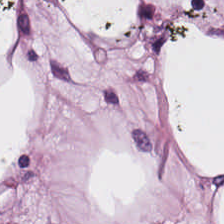Stain: hematoxylin and eosin.
Predominant tissue: adipose.
